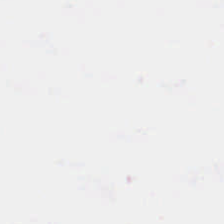Stain: H&E-stained tissue section.
Field content: empty background.
